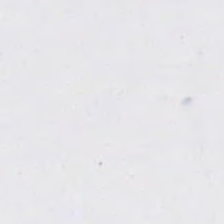20× equivalent magnification · H&E.
Background — no tissue in this field.
